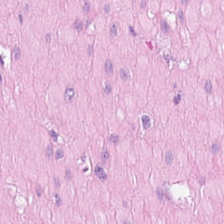FFPE · brightfield microscopy · H&E-stained tissue section.
Q: What is shown in this field?
A: This is muscularis.
